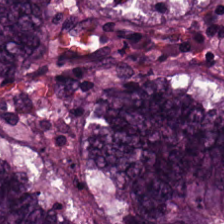H&E-stained tissue section — Classification: colorectal adenocarcinoma epithelium.
